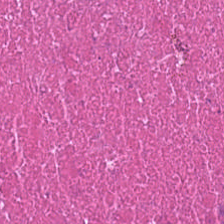Hematoxylin-and-eosin stained section; 224×224 px tile; FFPE tissue section — This field is debris.
